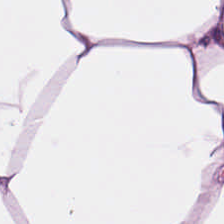224×224 pixel tile; H&E-stained tissue section. Finding — adipose tissue.
